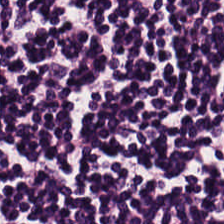H&E. Impression — lymphoid infiltrate.
